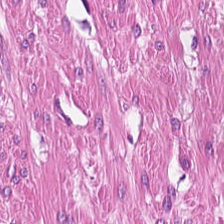Hematoxylin and eosin.
Q: What is the predominant tissue type?
A: This is smooth muscle.
